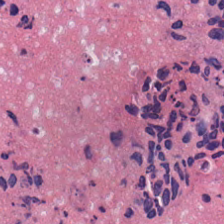Cellular debris.
